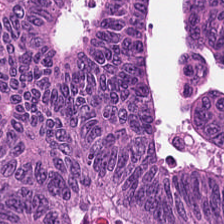The predominant tissue is malignant epithelium.
